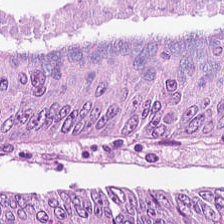Hematoxylin-and-eosin stained section. 20× equivalent magnification. 224×224 px patch. Q: What tissue type is shown here?
A: It is colorectal adenocarcinoma.
